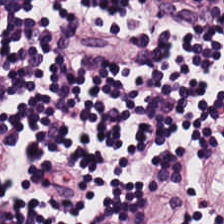Brightfield microscopy. Hematoxylin-and-eosin stained section.
The predominant tissue is lymphocytic infiltrate.
